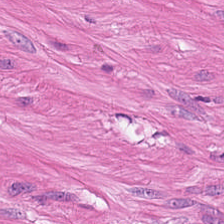H&E — smooth muscle.
